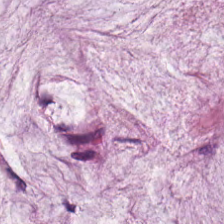H&E-stained tissue section.
This field is extracellular mucin.
